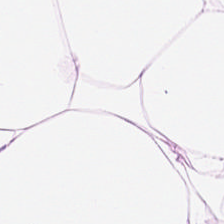224×224 px tile. H&E. Fat tissue.
